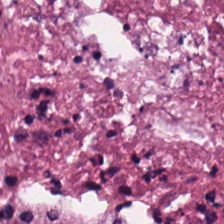WSI patch. H&E.
Q: What is the predominant tissue type?
A: This is debris.
